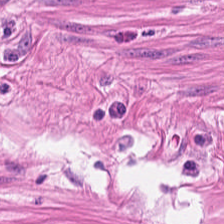Hematoxylin and eosin · WSI patch — Smooth-muscle tissue.
